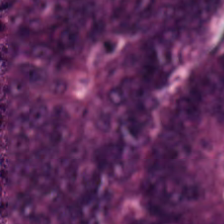Hematoxylin-and-eosin stained section · brightfield microscopy. This patch shows malignant epithelium.
